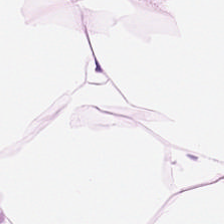H&E. Predominantly adipose tissue.
